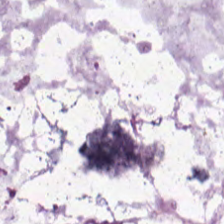H&E-stained section; the field shows mucus.
